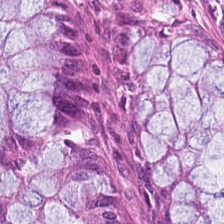H&E — non-neoplastic colon mucosa.
